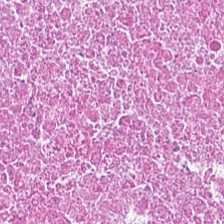H&E stain. Cellular debris.
